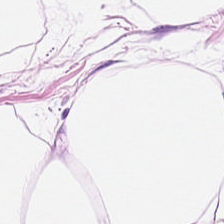Q: What tissue type is shown here?
A: The field shows adipocytes.
